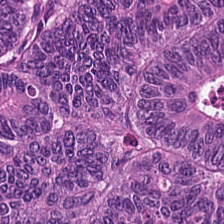H&E-stained tissue section. 224×224 px tile.
This field is colorectal adenocarcinoma epithelium.
